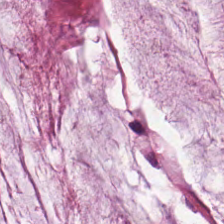Showing mucus.
